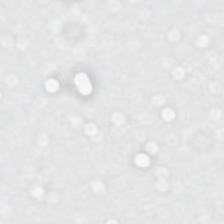H&E. Content — background (no tissue).
